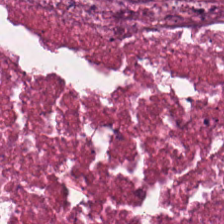Hematoxylin and eosin.
Histology — necrotic debris.
